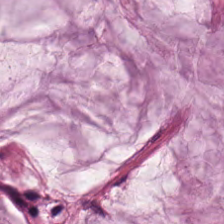{"tissue_type": "mucus"}
